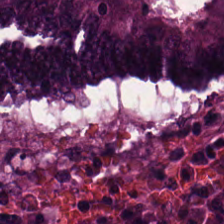This patch shows colorectal adenocarcinoma epithelium.
